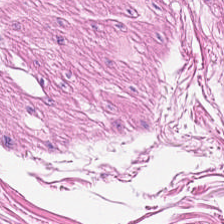H&E-stained tissue section. {"tissue_type": "smooth muscle"}
